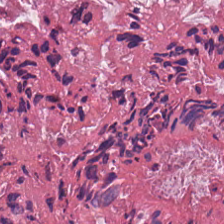Hematoxylin and eosin.
Showing debris.
